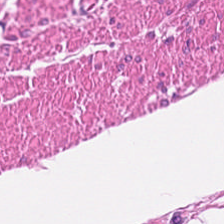H&E. This patch shows smooth muscle.
